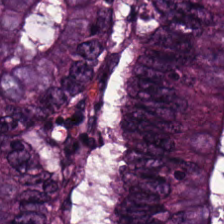Stain: H&E.
Classification: tumor epithelium.
